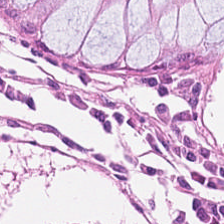This patch shows normal colonic mucosa.
